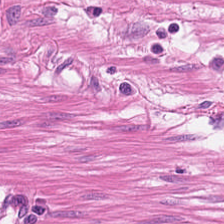Formalin-fixed paraffin-embedded section; 0.5 µm per pixel; hematoxylin-and-eosin stained section — {"tissue_type": "smooth-muscle tissue"}
